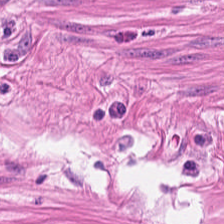H&E. 0.5 µm per pixel. {"tissue_type": "smooth-muscle tissue"}
